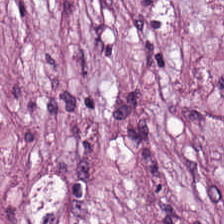Hematoxylin-and-eosin stained section. Tumor-associated stroma.
